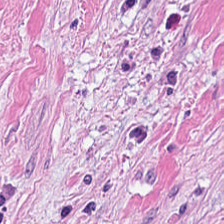H&E stain. Predominant tissue = tumor stroma.
